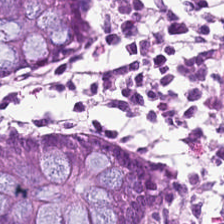H&E — Q: What tissue type is shown here?
A: This is normal colonic mucosa.
